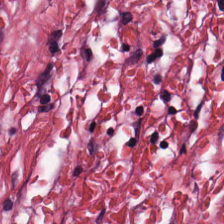Stain: H&E stain.
Tissue type: cancer-associated stroma.
